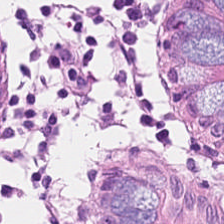H&E stain.
Non-neoplastic colon mucosa.
